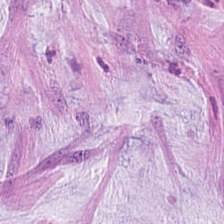Q: What tissue type is shown here?
A: Mucin.
